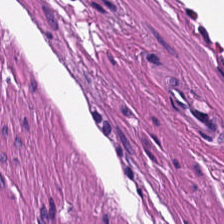0.5 µm/px · brightfield · hematoxylin-and-eosin stained section — Tissue class — smooth muscle.
